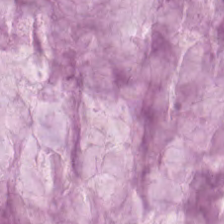Finding — mucin.
